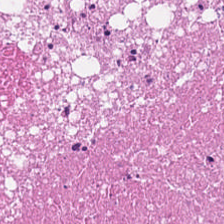H&E-stained tissue section; 0.5 µm/px; 224×224 px patch — Finding — debris.
